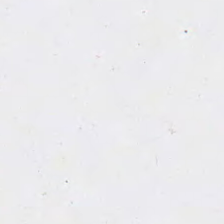Brightfield. H&E-stained tissue section — No tissue.
